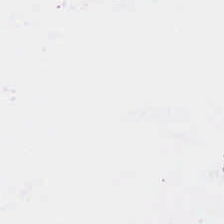H&E — Background — no tissue in this field.
